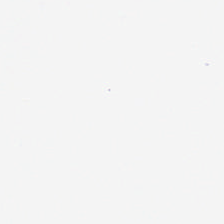Stain: hematoxylin-and-eosin stained section.
Content: background.
